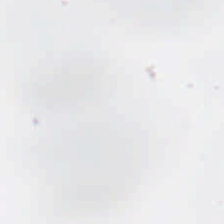H&E · 0.5 µm/px. This patch shows empty background.
